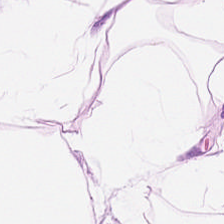FFPE; H&E stain — Tissue — adipose.
